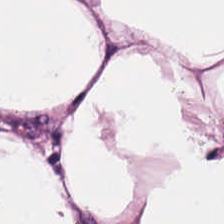224×224 px patch; H&E stain; 0.5 microns per pixel. Adipose.
